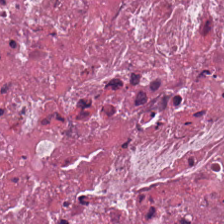Hematoxylin and eosin. Classification — debris.
